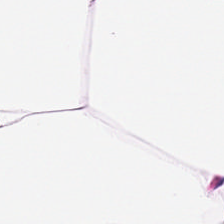Q: Identify the tissue.
A: Fat tissue.
